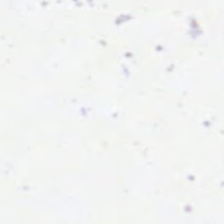H&E stain. This field is background (no tissue).
